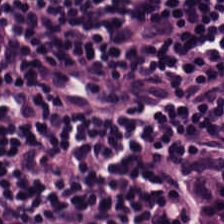Stain: hematoxylin-and-eosin stained section.
Resolution: 0.5 µm per pixel.
Preparation: FFPE tissue section.
Predominant tissue: lymphoid infiltrate.
